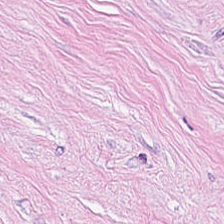Stain: hematoxylin and eosin.
Predominant tissue: tumor stroma.
